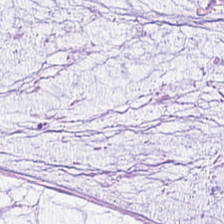Hematoxylin and eosin · brightfield microscopy · 0.5 µm per pixel. This field is extracellular mucin.
